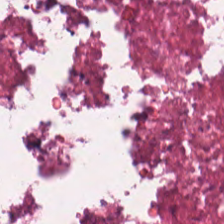Stain: hematoxylin-and-eosin stained section.
Resolution: 0.5 microns per pixel.
Tissue: necrotic debris.
